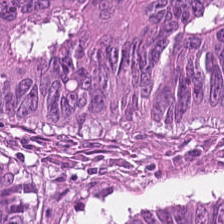Q: What type of tissue is this?
A: This is adenocarcinoma.
